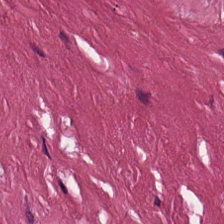H&E stain. Histology — desmoplastic stroma.
